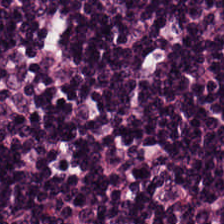H&E. Q: What is shown here?
A: Lymphocytes.
